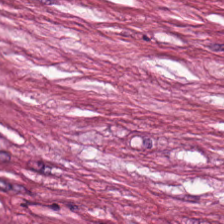H&E-stained tissue section. Histology — necrotic debris.
